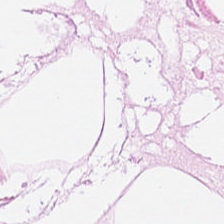H&E-stained tissue section · 224×224 pixel tile.
Showing fat tissue.
